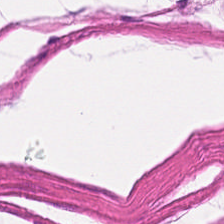H&E-stained tissue section; 20× equivalent magnification — Tissue class: smooth muscle.
